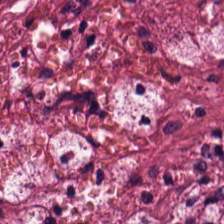H&E-stained tissue section; formalin-fixed paraffin-embedded section; 0.5 microns per pixel.
Q: What is the predominant tissue type?
A: This is tumor-associated stroma.
